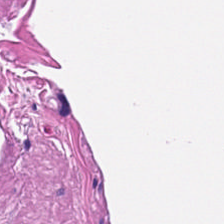Hematoxylin and eosin · 0.5 microns per pixel · 224×224 pixel tile.
Tissue type = smooth-muscle tissue.
